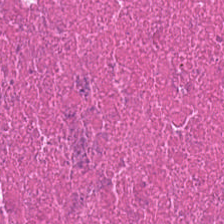Stain: hematoxylin and eosin.
Tissue class: cellular debris.
